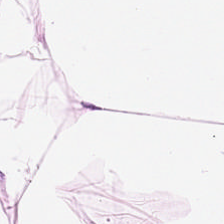Histology → fat tissue.
